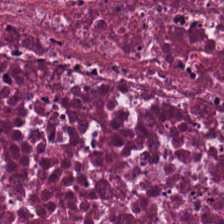Q: What is shown in this field?
A: The field shows cellular debris.
